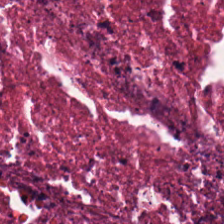Hematoxylin and eosin.
Q: What tissue type is shown here?
A: This is necrotic debris.
